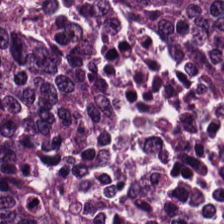Whole-slide-image patch. Formalin-fixed paraffin-embedded section. Hematoxylin-and-eosin stained section. Tissue = adenocarcinoma.
